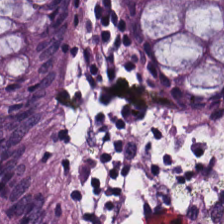H&E — This field is non-neoplastic colon mucosa.
